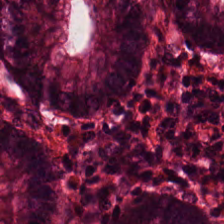H&E stain.
The classification is benign colonic mucosa.
